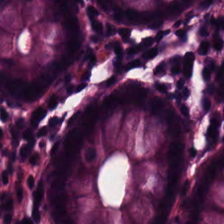Classification — non-neoplastic colon mucosa.
